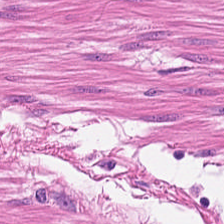Formalin-fixed paraffin-embedded section; hematoxylin-and-eosin stained section. Showing smooth-muscle tissue.
